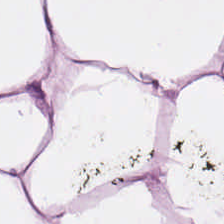The tissue class is fat tissue.
